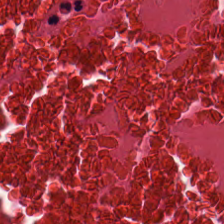This patch shows necrotic debris.
